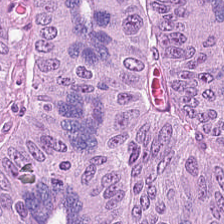Brightfield · H&E · 0.5 µm per pixel. Predominant tissue — tumor epithelium.
